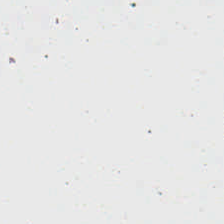Hematoxylin-and-eosin stained section — This patch shows background.
